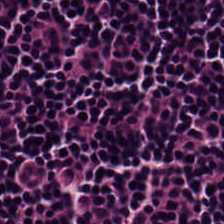FFPE tissue section; hematoxylin-and-eosin stained section — Finding — lymphocyte aggregate.
